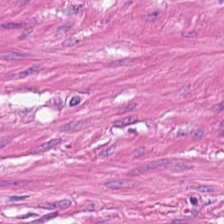H&E — smooth-muscle tissue.
